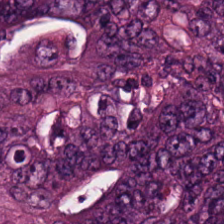Hematoxylin and eosin — Q: What tissue type is shown here?
A: It is adenocarcinoma.
